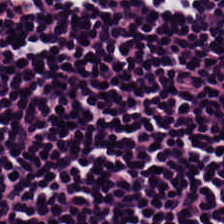FFPE tissue section. Hematoxylin-and-eosin stained section — The predominant tissue is lymphocytes.
